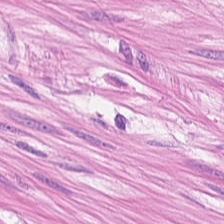224×224 px tile · whole-slide-image patch · hematoxylin and eosin — {"tissue_type": "smooth muscle"}
